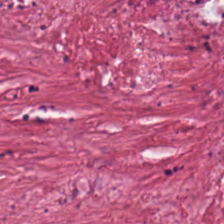Q: What tissue type is shown here?
A: Cancer-associated stroma.
